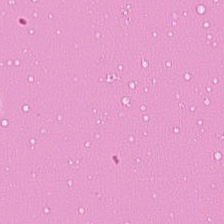Tissue: debris.
